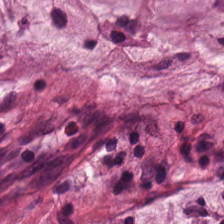H&E. Classification = mucus.
